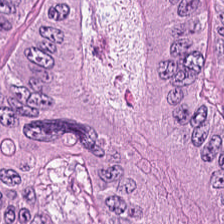Tissue type — colorectal adenocarcinoma epithelium.
